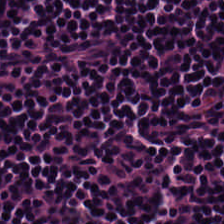Brightfield · 224×224 pixel tile · hematoxylin and eosin — Q: What does this patch show?
A: This is lymphocyte aggregate.
